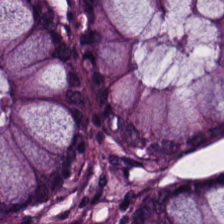224×224 px tile · formalin-fixed paraffin-embedded section · hematoxylin-and-eosin stained section.
Tissue type — benign colonic mucosa.
